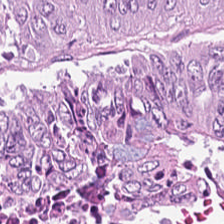Hematoxylin and eosin. 0.5 µm/px. 224×224 pixel tile.
Predominantly tumor epithelium.
